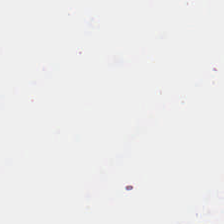Formalin-fixed paraffin-embedded section. Hematoxylin and eosin. Brightfield. Classification — no tissue.
